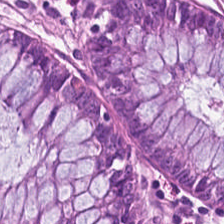224×224 pixel tile. H&E stain. 0.5 microns per pixel. Showing normal colonic mucosa.
